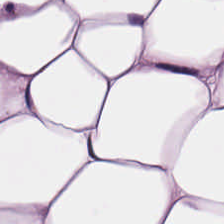Hematoxylin and eosin.
Showing fat tissue.
